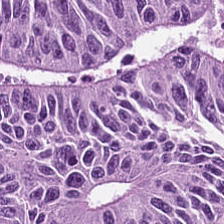H&E-stained tissue section — Adenocarcinoma.
